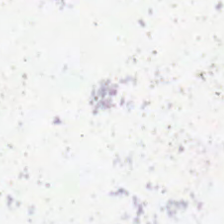The field content is no tissue.
